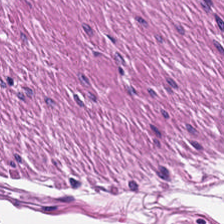Predominant tissue: smooth-muscle tissue.
